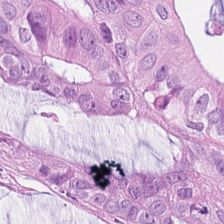H&E — {"tissue_type": "adenocarcinoma"}
